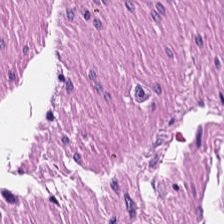Hematoxylin-and-eosin stained section.
Tissue: muscularis.
